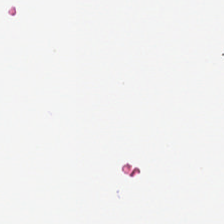Impression — background.
